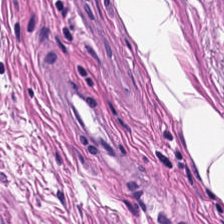Hematoxylin-and-eosin stained section.
Tissue = muscularis.
